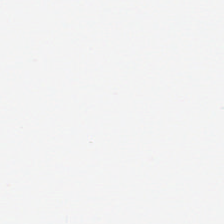Stain: H&E stain.
Preparation: FFPE.
Field content: empty background.
